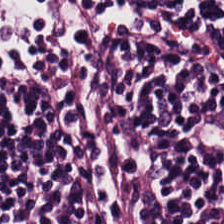0.5 µm/px. Hematoxylin and eosin. FFPE tissue section — {"tissue_type": "lymphoid infiltrate"}
